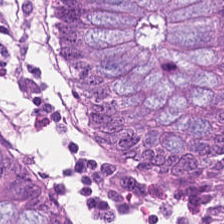Stain: hematoxylin-and-eosin stained section.
Tissue type: non-neoplastic colon mucosa.
